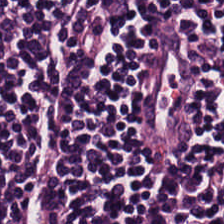{"tissue_type": "lymphocyte aggregate"}
